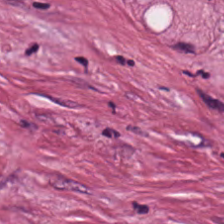Hematoxylin and eosin; FFPE — The classification is tumor-associated stroma.
